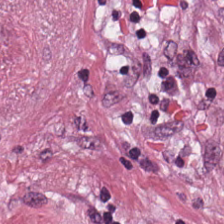0.5 microns per pixel · hematoxylin and eosin · brightfield. {"tissue_type": "tumor-associated stroma"}
